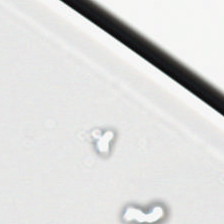Stain: H&E.
Resolution: 0.5 µm per pixel.
Field content: background.
